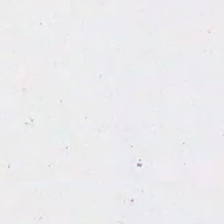H&E stain — Field content = empty background.
